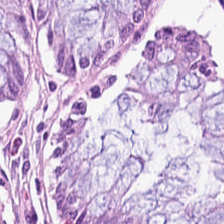H&E — benign colonic mucosa.
